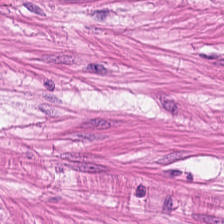Hematoxylin and eosin. This field is muscularis.
